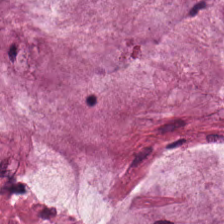Hematoxylin-and-eosin stained section — Finding — mucin.
